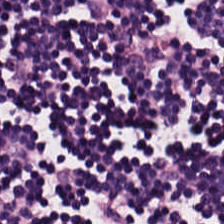Lymphocytes.
